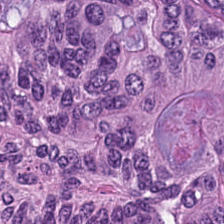Tissue type — adenocarcinoma.
